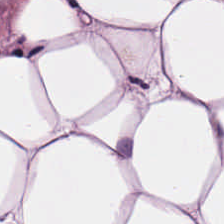0.5 microns per pixel; FFPE tissue section; H&E-stained tissue section. Q: What tissue is shown?
A: This is fat tissue.
